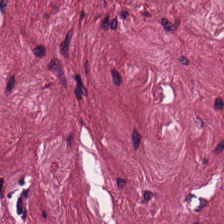H&E; FFPE; 224×224 px patch — Showing desmoplastic stroma.
